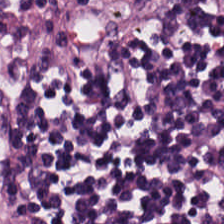Brightfield microscopy; 0.5 microns per pixel; hematoxylin and eosin — This field is lymphocytic infiltrate.
